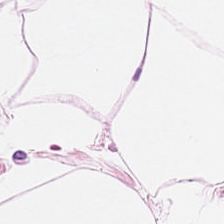H&E-stained tissue section. This patch shows fat tissue.
